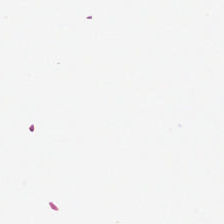H&E. Q: What is shown here?
A: This is empty background.
